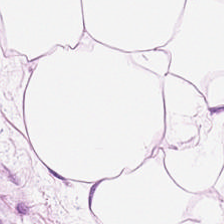Predominantly adipocytes.
